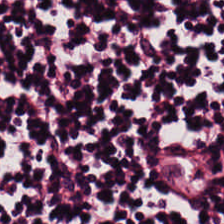This patch shows lymphocyte aggregate.
